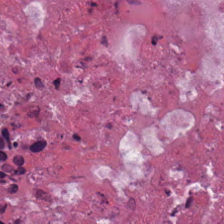H&E — The predominant tissue is necrotic debris.
